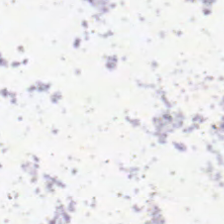Content — no tissue.
